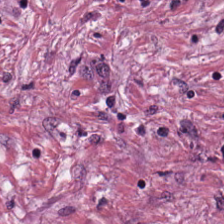H&E stain. Tissue type = cancer-associated stroma.
